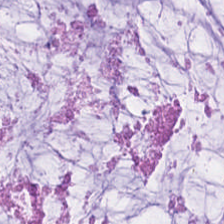Brightfield microscopy. Hematoxylin-and-eosin stained section — The predominant tissue is mucus.
